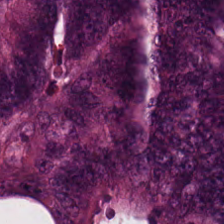Q: What tissue type is shown here?
A: It is colorectal adenocarcinoma epithelium.
